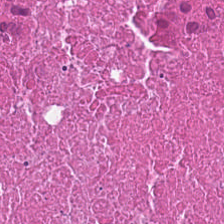224×224 px patch; H&E.
Finding — cellular debris.
